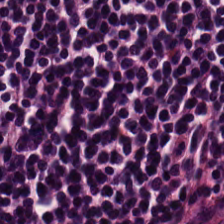Lymphocytic infiltrate.
